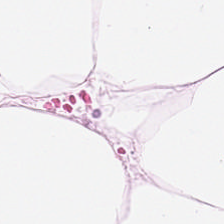H&E — Showing adipose tissue.
